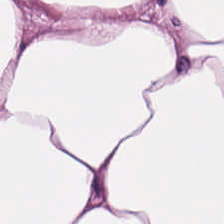Hematoxylin-and-eosin stained section — Q: Classify this patch.
A: It is adipose tissue.
